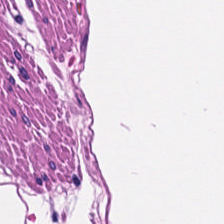0.5 µm/px · H&E — Classification = muscularis.
